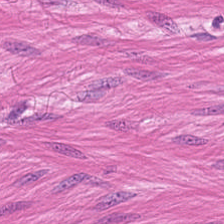FFPE; brightfield microscopy; H&E. Tissue type = smooth-muscle tissue.
